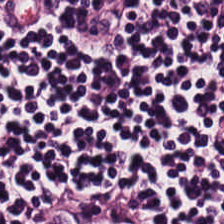H&E stain. Lymphocytic infiltrate.
